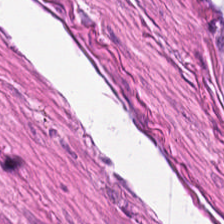Q: What is shown here?
A: Smooth-muscle tissue.
